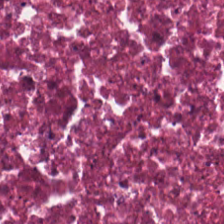Hematoxylin-and-eosin stained section — Showing cellular debris.
